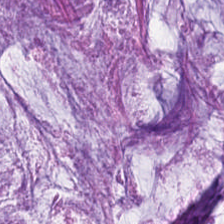Hematoxylin and eosin. Formalin-fixed paraffin-embedded section. 0.5 µm per pixel — Q: What type of tissue is this?
A: This is mucus.
